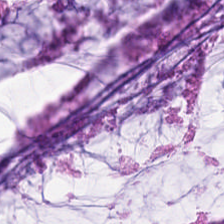Hematoxylin and eosin · 224×224 px tile — Predominant tissue = mucin.
